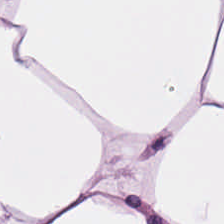0.5 µm/px. Hematoxylin-and-eosin stained section.
Q: What does this patch show?
A: This is fat tissue.
